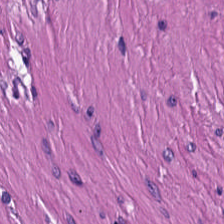WSI patch · H&E.
Q: What is the predominant tissue type?
A: The field shows smooth-muscle tissue.
